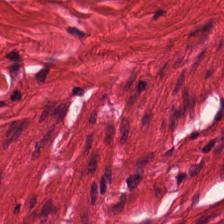FFPE tissue section. H&E. Brightfield microscopy. Q: What tissue is shown?
A: This is smooth-muscle tissue.
